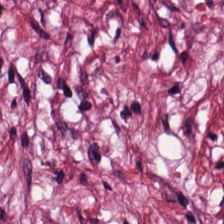Hematoxylin and eosin. Whole-slide-image patch. 0.5 µm per pixel.
Tumor stroma.
